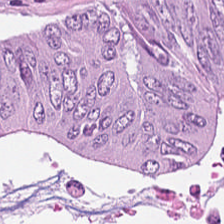Histology — malignant epithelium.
